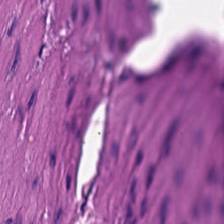H&E stain. FFPE. 0.5 µm/px.
Showing muscularis.
